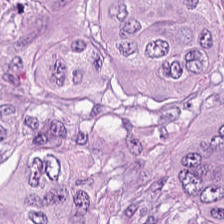{"tissue_type": "adenocarcinoma"}
